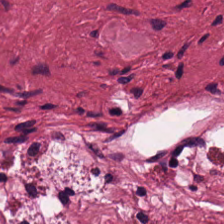Stain: H&E-stained tissue section.
Predominant tissue: desmoplastic stroma.
